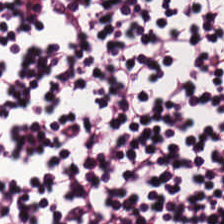H&E-stained tissue section; FFPE — Tissue type: lymphoid infiltrate.
